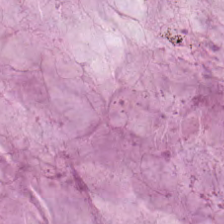H&E.
Classification: mucus.
